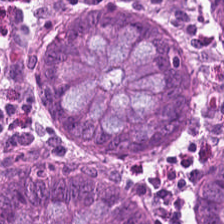Predominantly normal colon mucosa.
